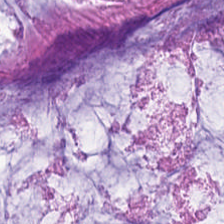Formalin-fixed paraffin-embedded section · H&E — Mucus.
